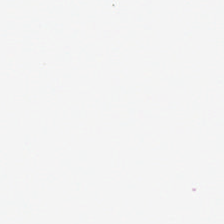{"content": "background"}
